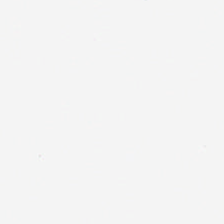No tissue.
